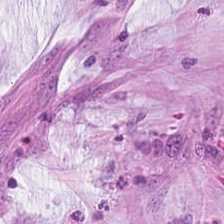H&E — Predominantly extracellular mucin.
